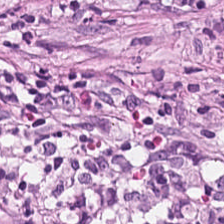H&E patch showing tumor-associated stroma.
